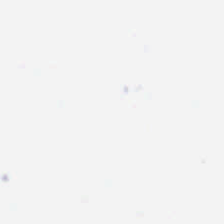Brightfield · H&E-stained tissue section — Background — no tissue in this field.
